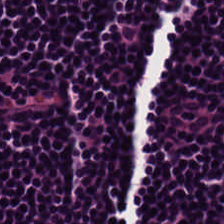Hematoxylin and eosin — Lymphoid infiltrate.
